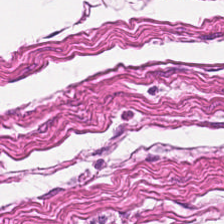FFPE tissue section · hematoxylin and eosin.
{"tissue_type": "muscularis"}
